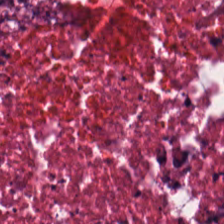20× equivalent magnification · H&E.
Tissue — necrotic debris.
